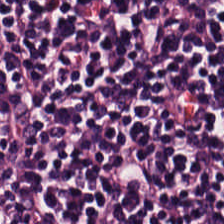Whole-slide-image patch; H&E stain. Showing lymphocytic infiltrate.
